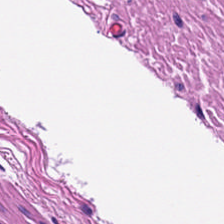0.5 µm per pixel. H&E. Brightfield — This patch shows muscularis.
